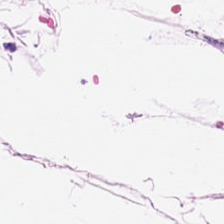Stain: H&E.
Predominant tissue: adipose.
